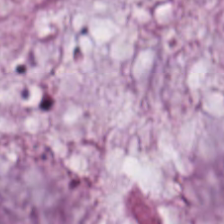Histology → mucin.
